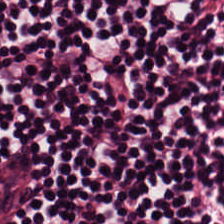Hematoxylin-and-eosin stained section.
This patch shows lymphocytic infiltrate.
